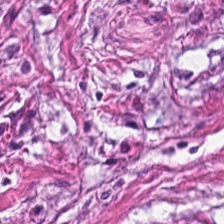Q: What does this patch show?
A: The field shows tumor-associated stroma.
